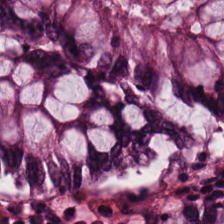H&E stain — This field is non-neoplastic colon mucosa.
